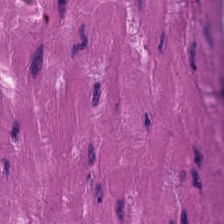H&E-stained tissue section · 0.5 µm per pixel — Q: What is shown in this field?
A: Smooth muscle.
